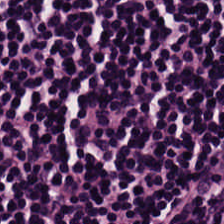H&E stain; WSI patch — The tissue here is lymphocytes.
